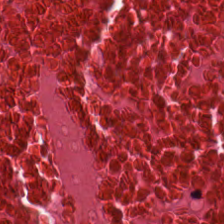Tissue class: necrotic debris.
